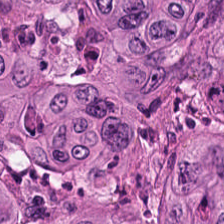H&E stain — Predominant tissue: colorectal adenocarcinoma.
